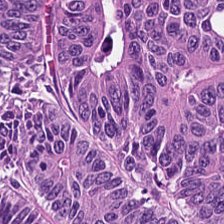224×224 pixel tile; H&E stain. Impression → malignant epithelium.
